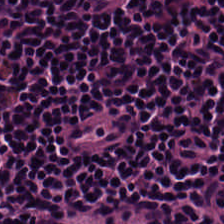Formalin-fixed paraffin-embedded section. Hematoxylin and eosin.
Q: Classify this patch.
A: The field shows lymphoid infiltrate.
